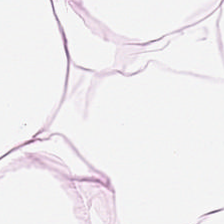Predominant tissue: adipocytes.
